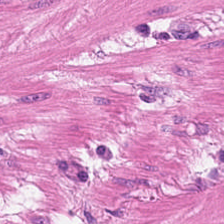Hematoxylin-and-eosin stained section — The tissue here is muscularis.
